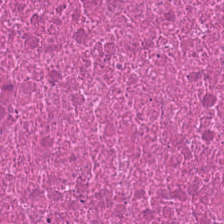H&E stain · 0.5 microns per pixel — Q: What type of tissue is this?
A: It is debris.
